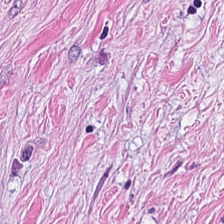H&E-stained tissue section.
Impression → tumor-associated stroma.
